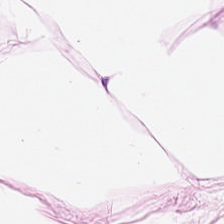H&E stain. FFPE — This field is adipocytes.
